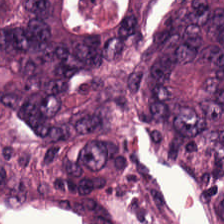Hematoxylin-and-eosin stained section · brightfield microscopy — Q: Classify this patch.
A: This is colorectal adenocarcinoma epithelium.
